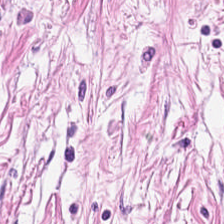Tumor stroma.
